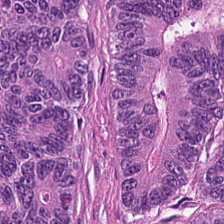Formalin-fixed paraffin-embedded section. H&E stain — Q: What tissue type is shown here?
A: The field shows colorectal adenocarcinoma.
